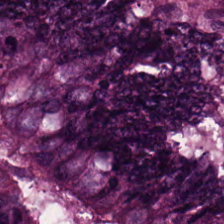20× equivalent magnification. H&E stain. Q: Identify the tissue.
A: Malignant epithelium.
